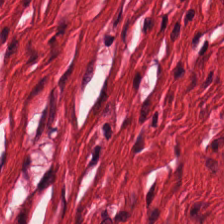H&E-stained tissue section — This patch shows muscularis.
